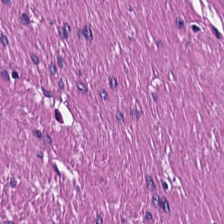Stain: H&E stain.
Acquisition: brightfield.
Tile size: 224×224 pixel tile.
Tissue type: muscularis.
